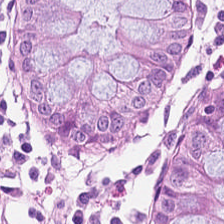H&E-stained tissue section. WSI patch. The predominant tissue is non-neoplastic colon mucosa.
